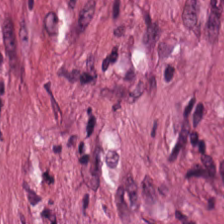H&E-stained tissue section — The tissue here is desmoplastic stroma.
